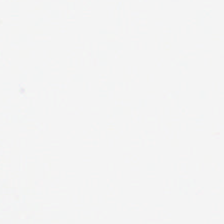Stain: H&E stain.
Field content: background (no tissue).
